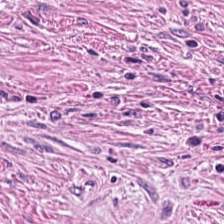Whole-slide-image patch; hematoxylin and eosin.
Q: Classify this patch.
A: It is cancer-associated stroma.
